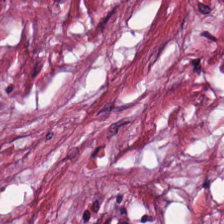Predominant tissue: tumor stroma.
